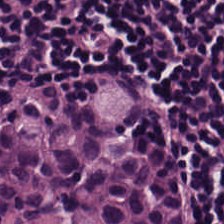H&E. Predominant tissue = lymphoid infiltrate.
